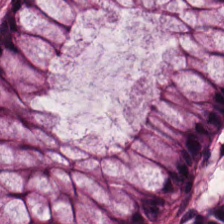H&E stain — Tissue = normal colon mucosa.
